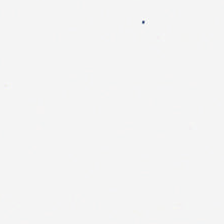Content — background.
